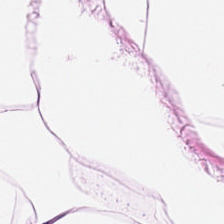Formalin-fixed paraffin-embedded section · hematoxylin-and-eosin stained section — The classification is fat tissue.
